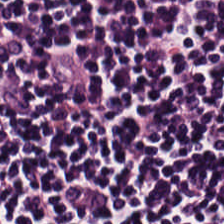Classification: lymphocyte aggregate.
